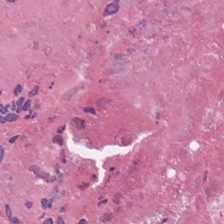Q: Classify this patch.
A: Debris.
